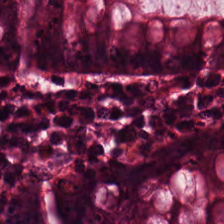Hematoxylin and eosin — Q: What is the predominant tissue type?
A: This is normal colonic mucosa.
